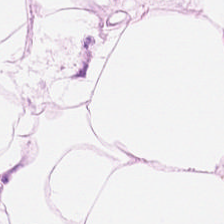Stain: hematoxylin-and-eosin stained section.
Preparation: FFPE tissue section.
Tissue type: adipocytes.
